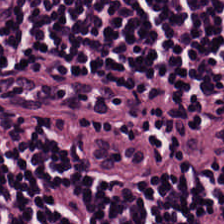H&E stain.
Q: What tissue is shown?
A: This is lymphocyte aggregate.
